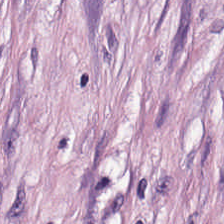Stain: hematoxylin-and-eosin stained section.
Tissue type: tumor stroma.
